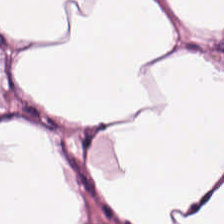This field is adipose.
